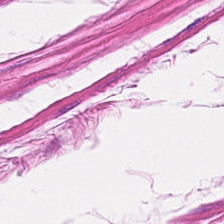H&E. {"tissue_type": "smooth muscle"}
